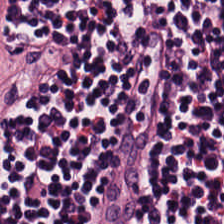{"tissue_type": "lymphocytes"}
